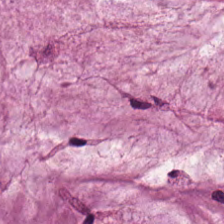Hematoxylin and eosin — Q: What is the predominant tissue type?
A: Mucus.
